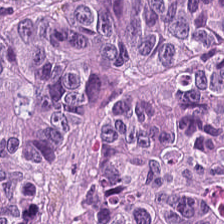The predominant tissue is adenocarcinoma.
